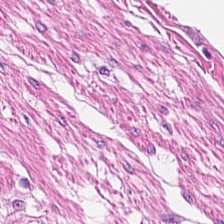Hematoxylin-and-eosin stained section — This field is smooth muscle.
